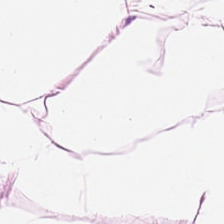H&E — fat tissue.
